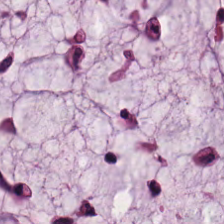Hematoxylin-and-eosin stained section.
The predominant tissue is extracellular mucin.
